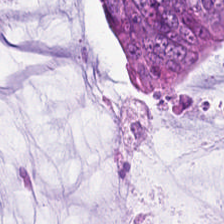Stain: H&E-stained tissue section.
Tissue type: colorectal adenocarcinoma.
